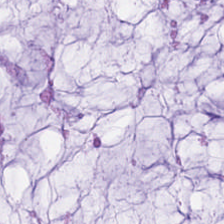Stain: H&E.
Tissue class: mucus.
